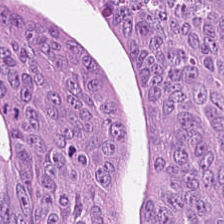224×224 px tile · H&E-stained tissue section · brightfield. This field is colorectal adenocarcinoma.
